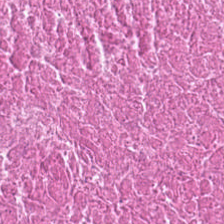Stain: H&E-stained tissue section.
Tissue type: debris.
